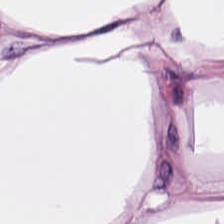H&E — Tissue = adipose tissue.
